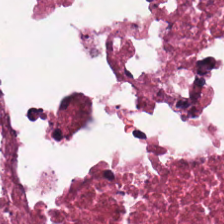WSI patch. H&E stain. 224×224 pixel tile.
The classification is necrotic debris.
